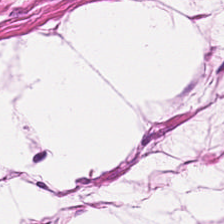H&E-stained tissue section · 224×224 px tile — {"tissue_type": "smooth muscle"}
